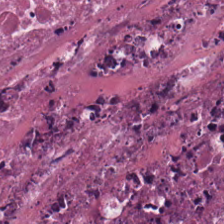Hematoxylin and eosin; 224×224 px patch.
The tissue here is cellular debris.
